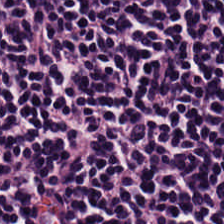224×224 px patch. Brightfield microscopy. Hematoxylin and eosin.
This field is lymphoid infiltrate.
